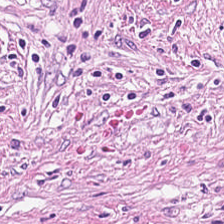Stain: H&E stain.
Tissue: tumor-associated stroma.
